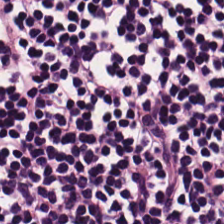Hematoxylin-and-eosin stained section. Predominantly lymphocyte aggregate.
